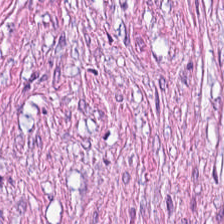Formalin-fixed paraffin-embedded section; H&E-stained tissue section. The tissue here is desmoplastic stroma.
